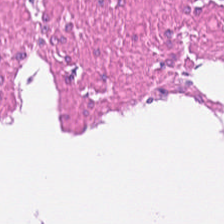H&E-stained tissue section · 0.5 µm/px — Impression — smooth-muscle tissue.
